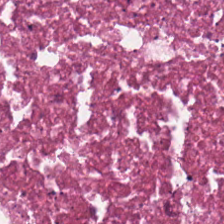Hematoxylin-and-eosin stained section — Cellular debris.
